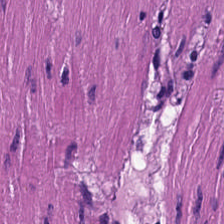Hematoxylin and eosin.
Finding — smooth muscle.
